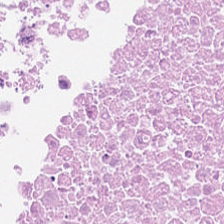Hematoxylin-and-eosin stained section; FFPE tissue section — The predominant tissue is cellular debris.
